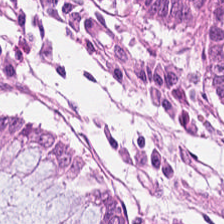Stain: H&E stain.
Predominant tissue: benign colonic mucosa.
